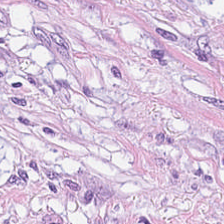Q: What is shown in this field?
A: Mucus.
